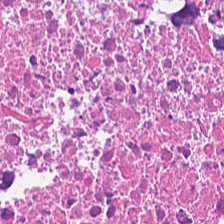Q: What is shown in this field?
A: This is necrotic debris.
